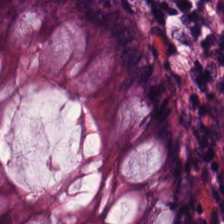H&E-stained tissue section. Showing normal colon mucosa.
